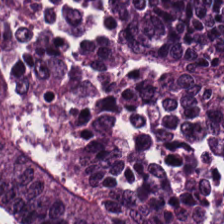H&E · 0.5 µm per pixel. Classification — colorectal adenocarcinoma epithelium.
